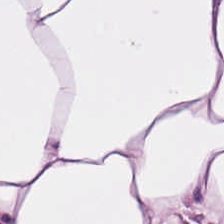FFPE · hematoxylin-and-eosin stained section. This patch shows adipose tissue.
